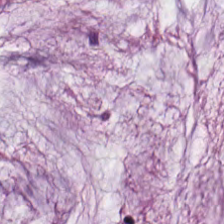WSI patch. H&E stain.
The tissue here is extracellular mucin.
